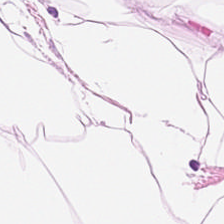Impression → fat tissue.
